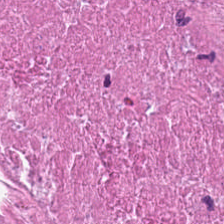H&E. Tissue — necrotic debris.
